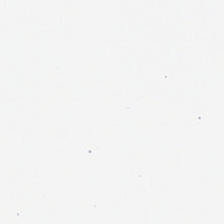H&E; brightfield; 0.5 µm/px — The field content is no tissue.
